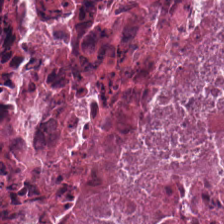Impression → cellular debris.
